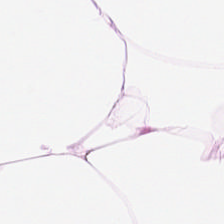FFPE. 0.5 microns per pixel. Hematoxylin and eosin — {"tissue_type": "fat tissue"}
